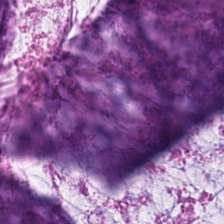Histology → extracellular mucin.
